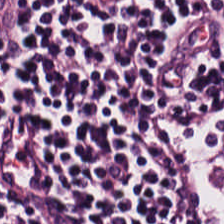H&E-stained tissue section.
Tissue = lymphocytes.
